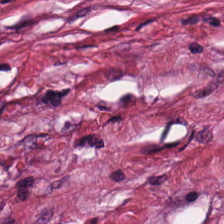This field is cancer-associated stroma.
